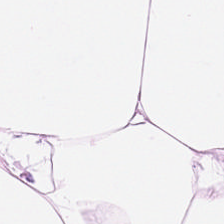0.5 µm per pixel · H&E — The predominant tissue is adipose.
